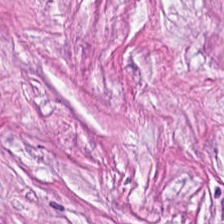H&E.
Predominantly desmoplastic stroma.
